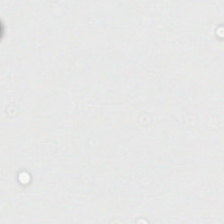Hematoxylin-and-eosin stained section. Brightfield microscopy. Empty field — background.
